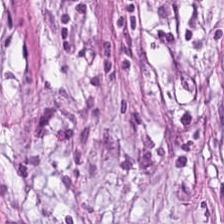Hematoxylin-and-eosin stained section · brightfield microscopy. Tissue class = desmoplastic stroma.
